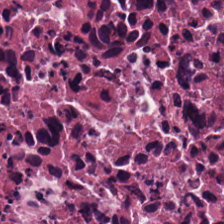H&E-stained tissue section — This field is cellular debris.
